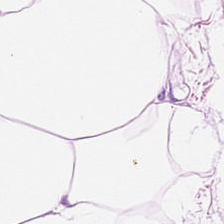Finding → adipose tissue.
